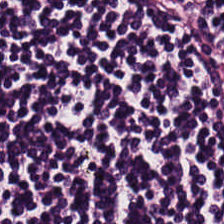Q: What is the predominant tissue type?
A: It is lymphoid infiltrate.
